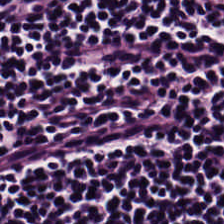Hematoxylin and eosin.
Lymphocyte aggregate.
